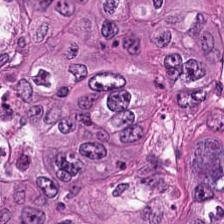Tumor epithelium.
